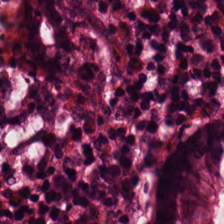Hematoxylin-and-eosin stained section — The tissue here is non-neoplastic colon mucosa.
